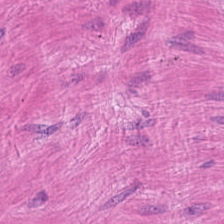Stain: H&E-stained tissue section.
Tile size: 224×224 px tile.
Tissue class: muscularis.
